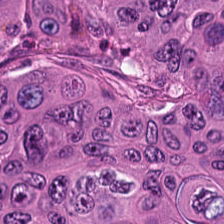H&E; WSI patch.
Tissue: malignant epithelium.
